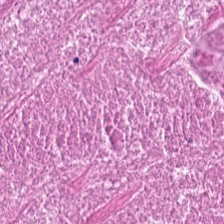H&E stain.
Histology → necrotic debris.
